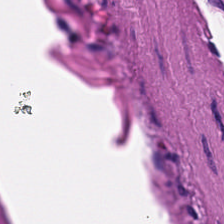Stain: H&E-stained tissue section.
Tissue type: smooth-muscle tissue.
